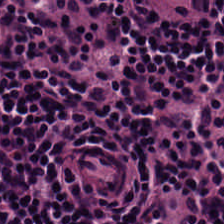H&E stain — Tissue — lymphocyte aggregate.
